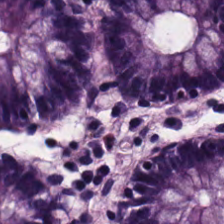H&E stain — Showing benign colonic mucosa.
